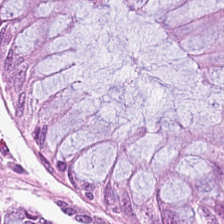Stain: hematoxylin-and-eosin stained section.
Classification: normal colon mucosa.
